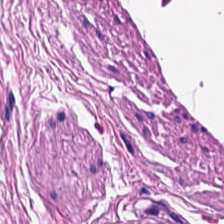Stain: hematoxylin and eosin.
Classification: smooth muscle.
